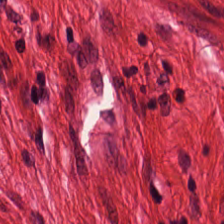Stain: H&E-stained tissue section.
Tissue: muscularis.
